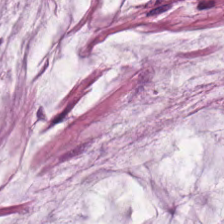FFPE tissue section; whole-slide-image patch; H&E stain. {"tissue_type": "mucin"}
